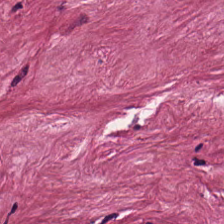H&E-stained tissue section. Tissue: tumor-associated stroma.
